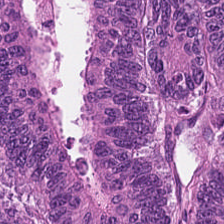Q: Identify the tissue.
A: This is colorectal adenocarcinoma epithelium.
